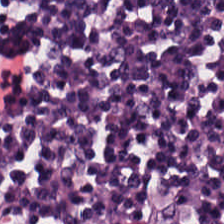The tissue type is lymphocytic infiltrate.
